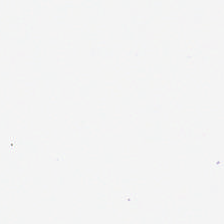H&E-stained tissue section — Empty background.
